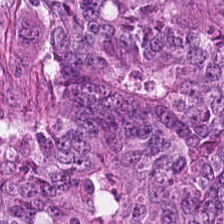H&E.
Histology — colorectal adenocarcinoma.
